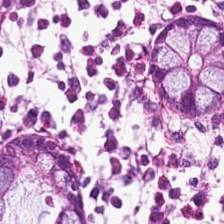H&E-stained tissue section · WSI patch. Q: What is shown here?
A: This is normal colonic mucosa.
